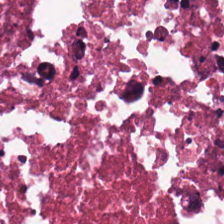Hematoxylin and eosin.
Tissue — necrotic debris.
